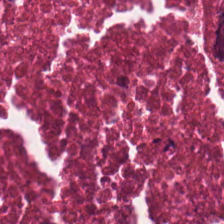H&E.
Necrotic debris.
